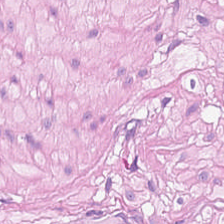0.5 microns per pixel. Brightfield. Hematoxylin and eosin — Showing muscularis.
